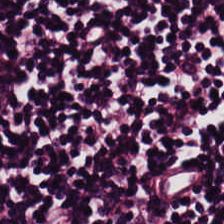Finding — lymphocytes.
